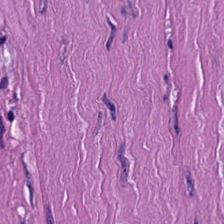Tissue — muscularis.
